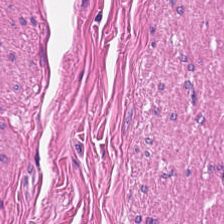H&E-stained section; the field shows smooth muscle.
